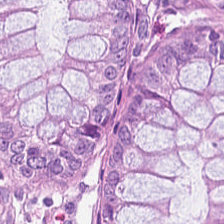WSI patch; H&E stain; 224×224 px patch. The tissue here is benign colonic mucosa.
